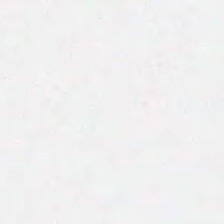Hematoxylin-and-eosin stained section — {"content": "background"}
